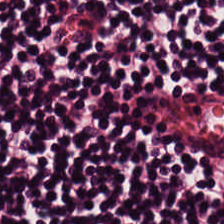H&E stain — Finding → lymphocytic infiltrate.
